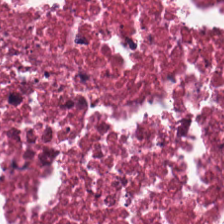FFPE · H&E-stained tissue section — Cellular debris.
